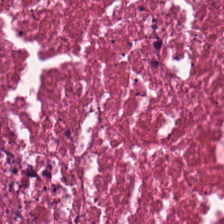H&E stain.
Predominantly necrotic debris.
